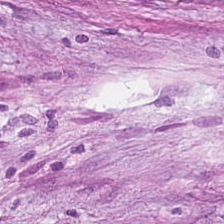Hematoxylin-and-eosin stained section. Q: What type of tissue is this?
A: It is cancer-associated stroma.
